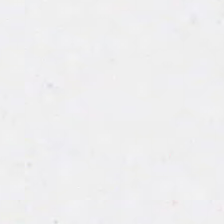No tissue present; background only.
